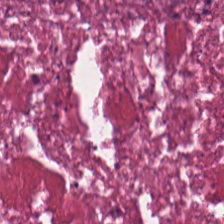Finding — cellular debris.
